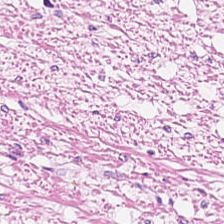H&E. 0.5 µm/px. This field is smooth-muscle tissue.
